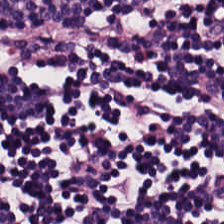Tissue class = lymphoid infiltrate.
